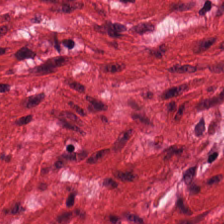Formalin-fixed paraffin-embedded section; H&E-stained tissue section; 224×224 px tile. The tissue type is smooth muscle.
